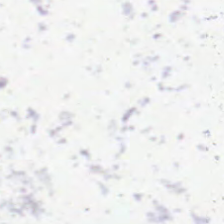H&E stain. No tissue present; background only.
